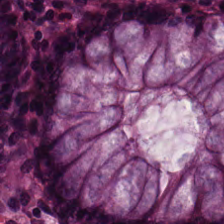H&E-stained tissue section. Classification — normal colon mucosa.
